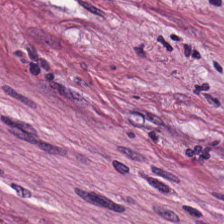Stain: hematoxylin-and-eosin stained section.
Tissue type: tumor stroma.
